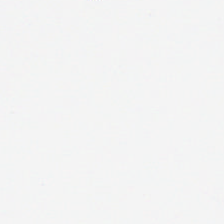Brightfield. 20× equivalent magnification. Hematoxylin-and-eosin stained section. Q: What does this patch show?
A: The field shows background (no tissue).
